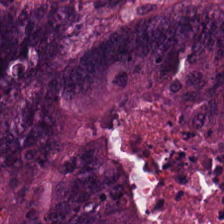Q: What is shown in this field?
A: This is colorectal adenocarcinoma epithelium.
